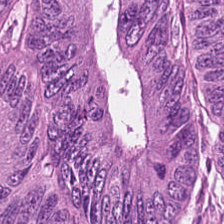H&E. 224×224 px patch.
Classification: colorectal adenocarcinoma epithelium.
